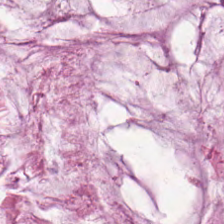Predominant tissue: mucus.
